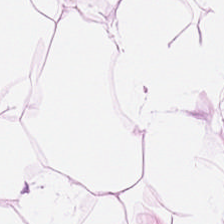Hematoxylin-and-eosin stained section. 224×224 pixel tile — The tissue is adipose tissue.
